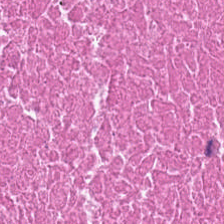FFPE · hematoxylin and eosin · 20× equivalent magnification — Impression → cellular debris.
